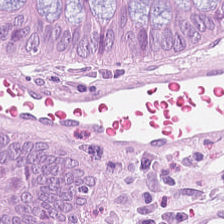Q: What is the predominant tissue type?
A: Normal colonic mucosa.
